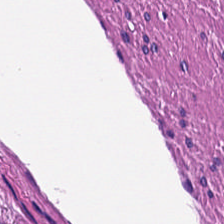Hematoxylin and eosin — The predominant tissue is muscularis.
